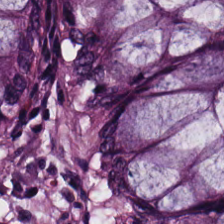Hematoxylin-and-eosin section: normal colon mucosa.
